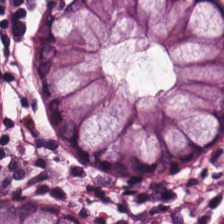Predominant tissue — normal colonic mucosa.
